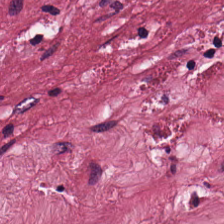Hematoxylin-and-eosin stained section. 224×224 px tile.
Q: What is shown in this field?
A: Tumor stroma.
